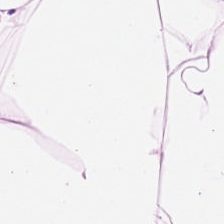Stain: H&E.
Classification: fat tissue.
